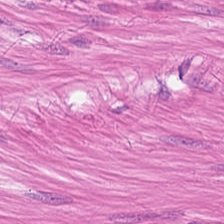H&E stain. FFPE tissue section.
Q: What tissue type is shown here?
A: Smooth muscle.
